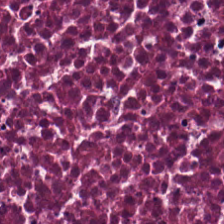H&E stain.
Tissue — necrotic debris.
